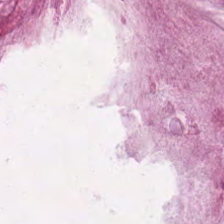Stain: H&E stain.
Tissue class: mucin.
